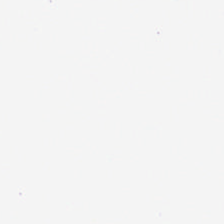Content: no tissue.
